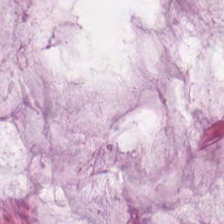Hematoxylin-and-eosin stained section; FFPE.
This field is mucin.
